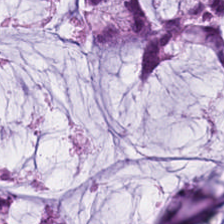Hematoxylin-and-eosin stained section.
Tissue type: mucin.
